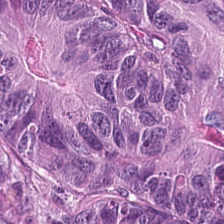{"tissue_type": "tumor epithelium"}
